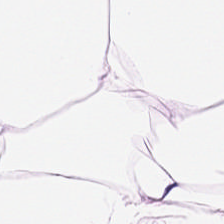Hematoxylin and eosin — Tissue class — adipose tissue.
